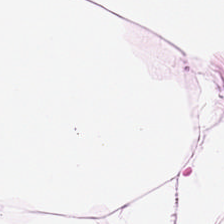Hematoxylin-and-eosin stained section. 224×224 pixel tile. Adipose.
